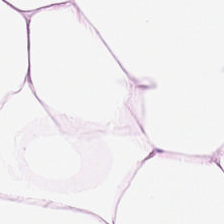224×224 px tile · hematoxylin-and-eosin stained section — Showing fat tissue.
